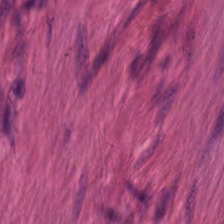H&E-stained tissue section — Smooth-muscle tissue.
